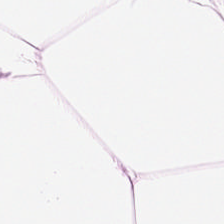H&E-stained tissue section — This field is adipose.
